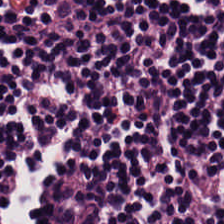Hematoxylin and eosin — This field is lymphocytes.
